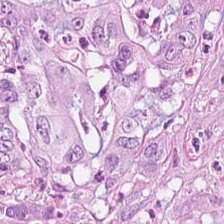Hematoxylin and eosin — Predominantly colorectal adenocarcinoma epithelium.
